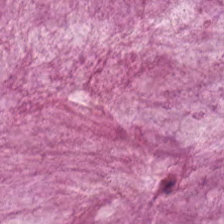Hematoxylin and eosin. Q: Identify the tissue.
A: Extracellular mucin.
